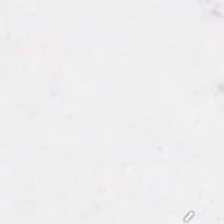Hematoxylin and eosin. Q: What is shown here?
A: The field shows no tissue.
